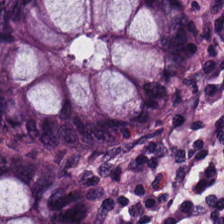H&E patch showing normal colonic mucosa.
